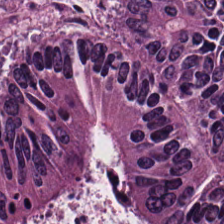0.5 microns per pixel · hematoxylin and eosin · 224×224 px tile. Tissue type = colorectal adenocarcinoma.
